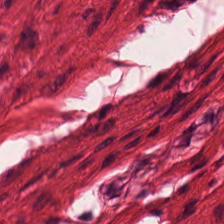H&E stain. Q: Identify the tissue.
A: This is smooth muscle.
